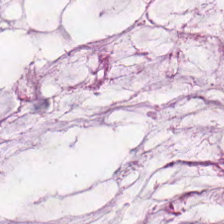Hematoxylin and eosin. Predominantly mucus.
